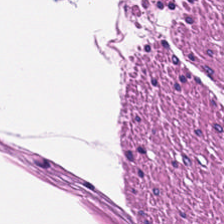Finding → smooth muscle.
